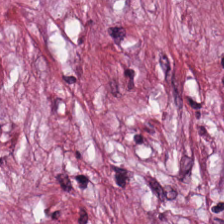H&E stain — The tissue here is cancer-associated stroma.
